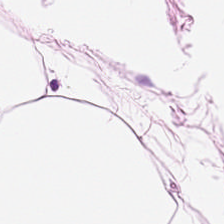FFPE. Hematoxylin and eosin. The predominant tissue is adipose tissue.
